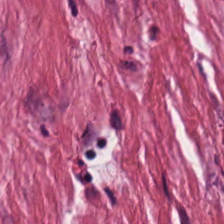Tissue type — desmoplastic stroma.
